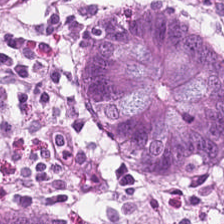0.5 µm per pixel. Whole-slide-image patch. H&E stain. {"tissue_type": "normal colonic mucosa"}
